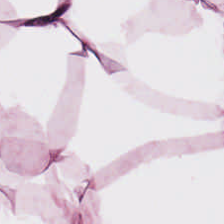WSI patch. H&E stain. Classification — fat tissue.
